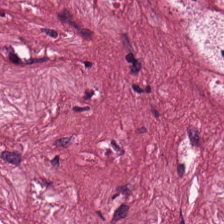Stain: hematoxylin-and-eosin stained section.
Predominant tissue: cancer-associated stroma.
